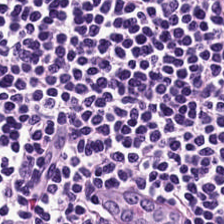Stain: H&E stain.
Tissue class: lymphoid infiltrate.
